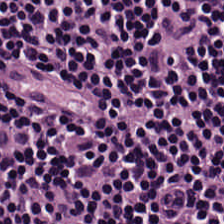H&E-stained tissue section showing lymphocyte aggregate.
